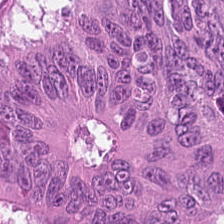Stain: hematoxylin-and-eosin stained section.
Predominant tissue: adenocarcinoma.
